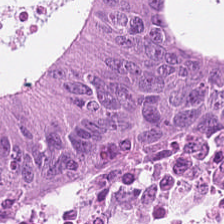Q: Identify the tissue.
A: The field shows adenocarcinoma.
